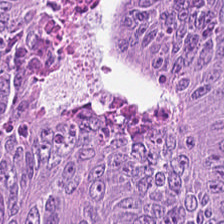Stain: H&E.
Tile size: 224×224 px tile.
Tissue: malignant epithelium.
